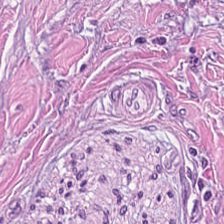Q: What is shown here?
A: This is desmoplastic stroma.
